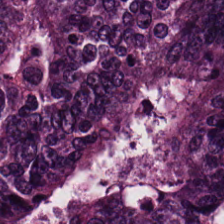Brightfield microscopy; FFPE; H&E stain.
The tissue here is colorectal adenocarcinoma.
